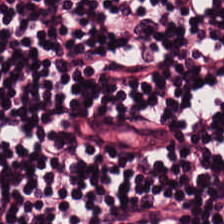H&E stain — Predominant tissue: lymphocytic infiltrate.
